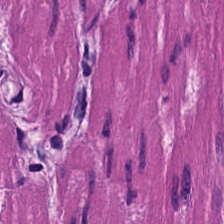WSI patch · hematoxylin and eosin · 224×224 px tile — Finding — smooth muscle.
